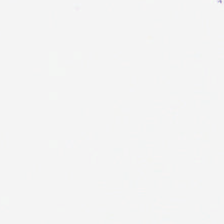H&E stain. 224×224 px patch — No tissue.
